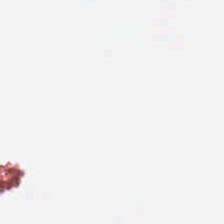H&E — The field content is background.
